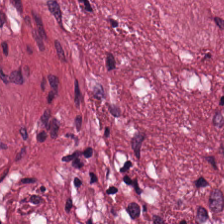H&E patch showing tumor stroma.
